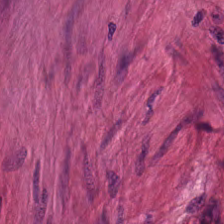Hematoxylin and eosin — Predominantly smooth-muscle tissue.
